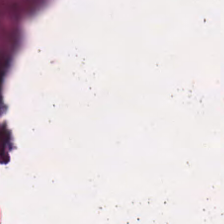Hematoxylin-and-eosin stained section. Q: What is shown here?
A: This is necrotic debris.
